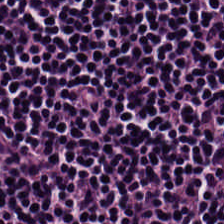Hematoxylin-and-eosin stained section — Showing lymphoid infiltrate.
